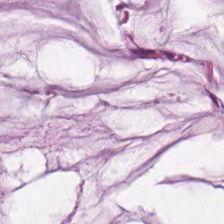0.5 µm/px · FFPE tissue section · H&E. The predominant tissue is extracellular mucin.
